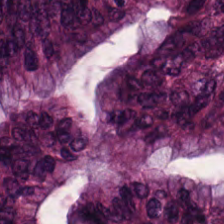Formalin-fixed paraffin-embedded section · hematoxylin-and-eosin stained section · 224×224 px patch — Predominantly colorectal adenocarcinoma.
